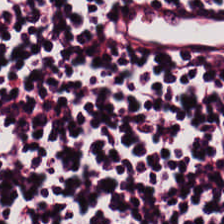224×224 pixel tile; brightfield microscopy; H&E stain — The classification is lymphoid infiltrate.
